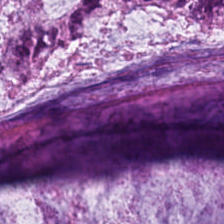H&E stain. 0.5 µm/px.
Classification: extracellular mucin.
